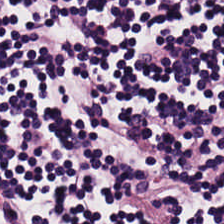Q: What is shown in this field?
A: It is lymphocytes.
